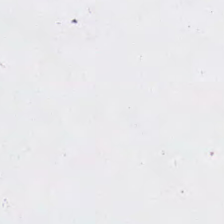Brightfield. Hematoxylin and eosin. 224×224 px tile. No tissue present; background only.
